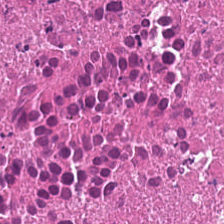Stain: H&E-stained tissue section.
Tile size: 224×224 px patch.
Resolution: 0.5 microns per pixel.
Tissue: cellular debris.
